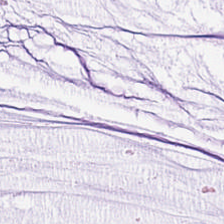Hematoxylin-and-eosin stained section. FFPE.
The classification is extracellular mucin.
